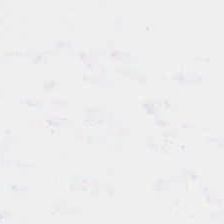0.5 microns per pixel · H&E.
Field content = no tissue.
